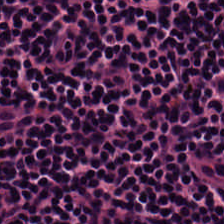Hematoxylin-and-eosin stained section; whole-slide-image patch; 0.5 µm/px. This patch shows lymphocyte aggregate.
